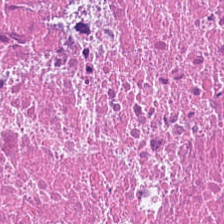H&E — Tissue type: debris.
